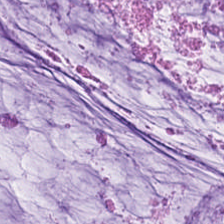{"tissue_type": "extracellular mucin"}
